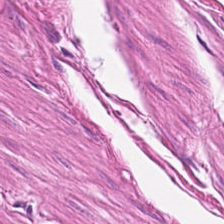H&E — Q: What is shown in this field?
A: Smooth-muscle tissue.
